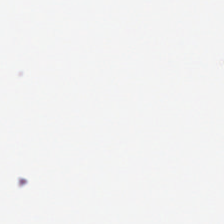H&E-stained tissue section. Background (no tissue).
